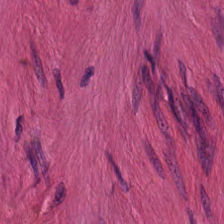Formalin-fixed paraffin-embedded section. 224×224 px patch. H&E — The tissue class is smooth muscle.
